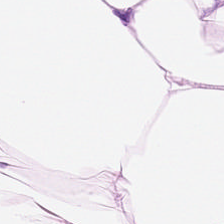Hematoxylin and eosin. 224×224 px patch. Q: Identify the tissue.
A: Fat tissue.
